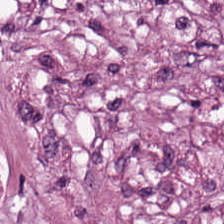224×224 pixel tile. Hematoxylin-and-eosin stained section — Showing cancer-associated stroma.
